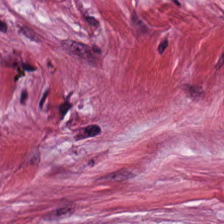Stain: hematoxylin-and-eosin stained section.
Tissue class: tumor-associated stroma.
